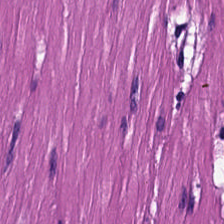H&E-stained tissue section — Classification — muscularis.
